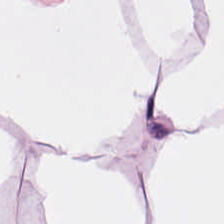Hematoxylin-and-eosin stained section. Showing adipocytes.
